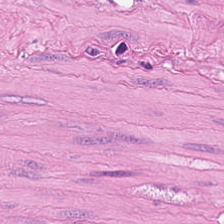Q: What is shown here?
A: This is muscularis.
